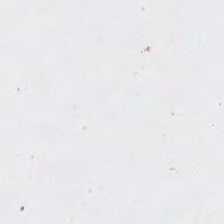H&E stain · 0.5 µm per pixel · 224×224 px patch — {"content": "background (no tissue)"}
